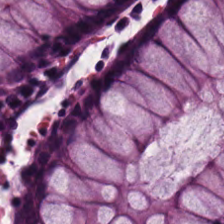Formalin-fixed paraffin-embedded section · hematoxylin and eosin · 0.5 µm per pixel.
Tissue class = benign colonic mucosa.
